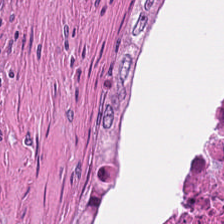Hematoxylin-and-eosin stained section — This patch shows debris.
